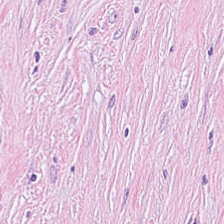H&E stain — The tissue here is tumor-associated stroma.
